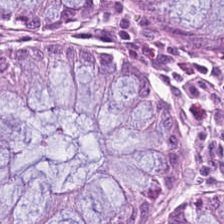H&E-stained tissue section — Predominantly normal colon mucosa.
